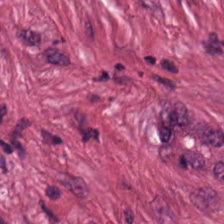224×224 pixel tile · hematoxylin and eosin · whole-slide-image patch. Q: What tissue is shown?
A: It is desmoplastic stroma.
